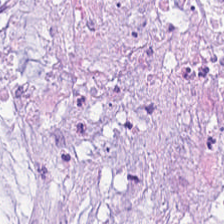Q: What does this patch show?
A: It is mucin.
